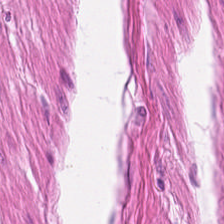224×224 px patch. WSI patch. H&E-stained tissue section — Predominant tissue — smooth-muscle tissue.
